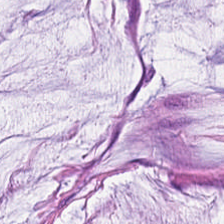H&E.
Q: What is shown in this field?
A: The field shows mucus.
